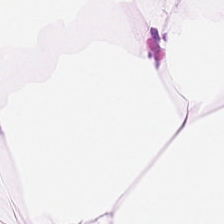Hematoxylin and eosin. The predominant tissue is adipose.
